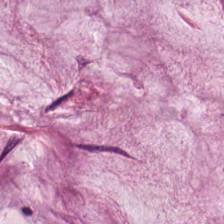H&E. The predominant tissue is mucin.
